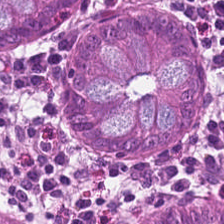H&E-stained tissue section.
This field is normal colonic mucosa.
